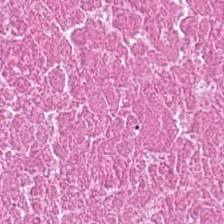H&E; 224×224 pixel tile. Showing debris.
